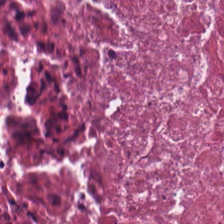Histology → necrotic debris.
